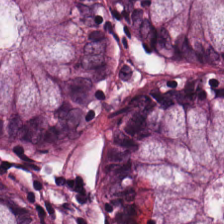H&E; FFPE tissue section. Predominantly benign colonic mucosa.
